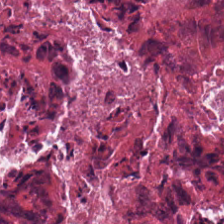This patch shows necrotic debris.
